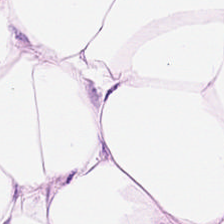224×224 px tile. H&E. Tissue type: fat tissue.
